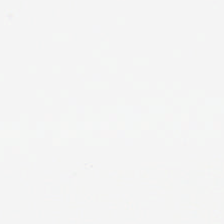No tissue.
